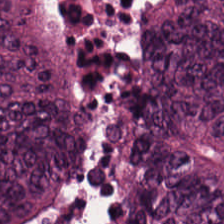H&E patch showing colorectal adenocarcinoma epithelium.
